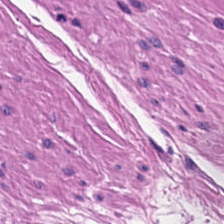Hematoxylin-and-eosin stained section; 0.5 µm/px; 224×224 px tile. Impression → muscularis.
